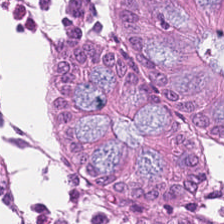Tissue class: normal colonic mucosa.
